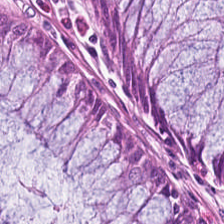H&E · 224×224 px tile · WSI patch — Classification — non-neoplastic colon mucosa.
